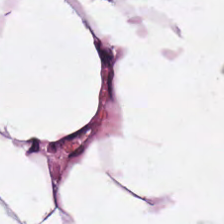Hematoxylin and eosin.
Tissue type = adipose tissue.
